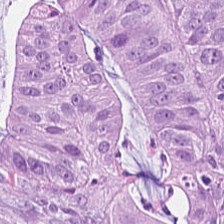H&E stain. Colorectal adenocarcinoma epithelium.
